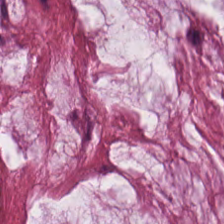Formalin-fixed paraffin-embedded section; 20× equivalent magnification; hematoxylin and eosin.
This patch shows extracellular mucin.
